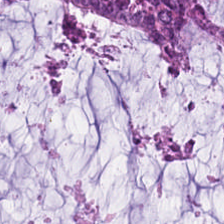0.5 µm per pixel; hematoxylin and eosin.
Showing mucus.
